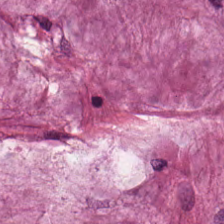H&E-stained tissue section; 224×224 px tile; formalin-fixed paraffin-embedded section.
Finding → extracellular mucin.
